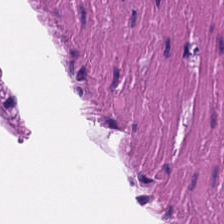Stain: hematoxylin and eosin.
Tissue: smooth-muscle tissue.
